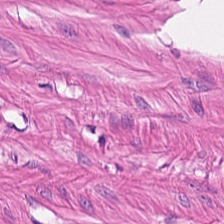Tissue class: muscularis.
